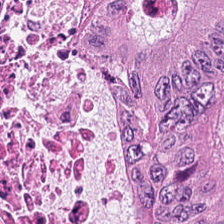H&E — The tissue class is colorectal adenocarcinoma epithelium.
